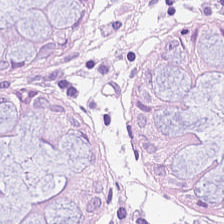Hematoxylin and eosin.
{"tissue_type": "normal colonic mucosa"}
